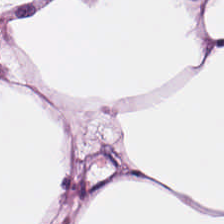Hematoxylin-and-eosin stained section.
Histology → adipose.
